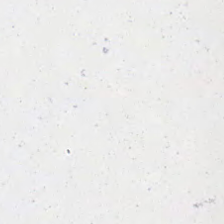224×224 px patch · H&E-stained tissue section — No tissue present; background only.
